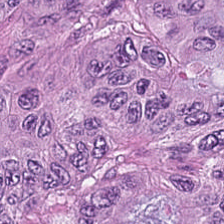Impression — adenocarcinoma.
